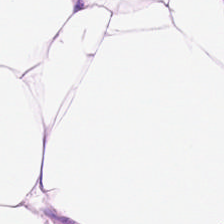Hematoxylin and eosin — Finding — fat tissue.
